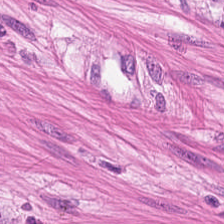Stain: H&E-stained tissue section.
Tile size: 224×224 pixel tile.
Tissue class: smooth-muscle tissue.
